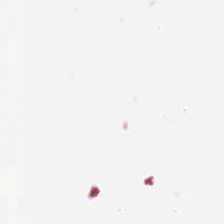Stain: hematoxylin-and-eosin stained section.
Classification: no tissue.
